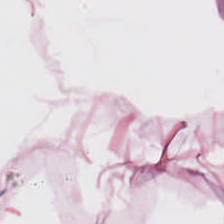This field is adipose.
